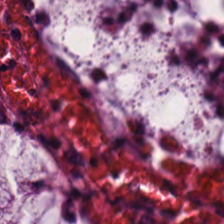Hematoxylin and eosin.
Normal colon mucosa.
